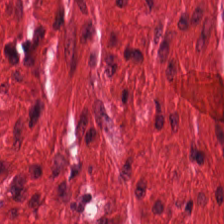224×224 px tile · hematoxylin-and-eosin stained section — The predominant tissue is smooth muscle.
